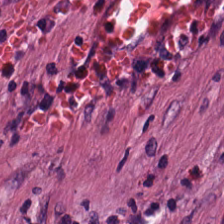The predominant tissue is tumor-associated stroma.
